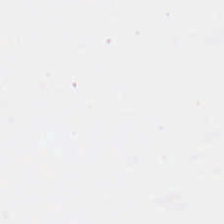FFPE; H&E-stained tissue section. No tissue present; background only.
